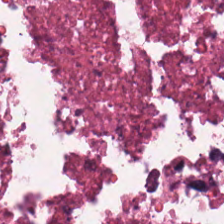224×224 pixel tile · H&E stain — Showing debris.
